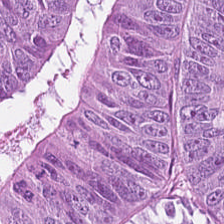H&E-stained tissue section · 224×224 pixel tile.
Tissue type = tumor epithelium.
